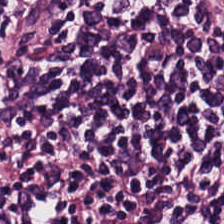{"tissue_type": "lymphoid infiltrate"}
